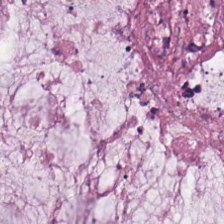Hematoxylin and eosin; FFPE tissue section — Q: What is shown in this field?
A: The field shows mucin.
